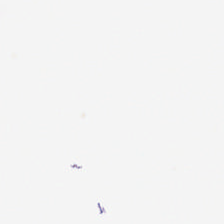H&E-stained tissue section — This field is background (no tissue).
